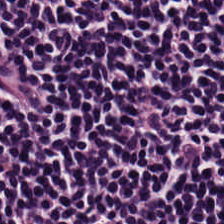H&E stain — Impression — lymphoid infiltrate.
